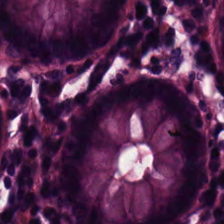The predominant tissue is non-neoplastic colon mucosa.
